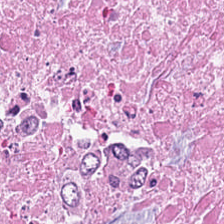224×224 pixel tile. Hematoxylin-and-eosin stained section. Tissue: debris.
